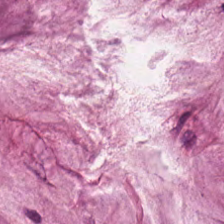Showing extracellular mucin.
